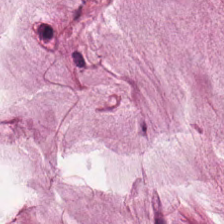Classification: mucin.
